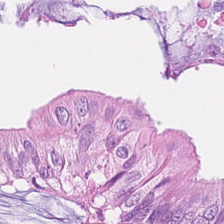Tumor epithelium.
